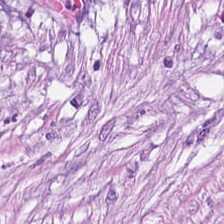Predominantly cancer-associated stroma.
